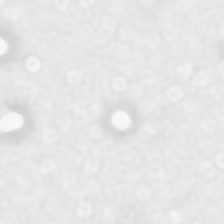H&E; 0.5 µm per pixel.
Field content = empty background.
